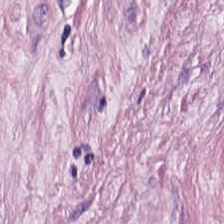Hematoxylin-and-eosin section: tumor stroma.
